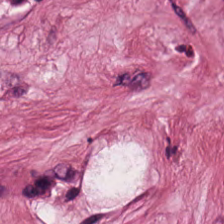The predominant tissue is desmoplastic stroma.
